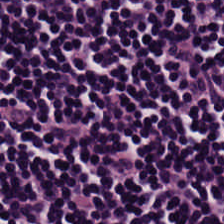This patch shows lymphoid infiltrate.
